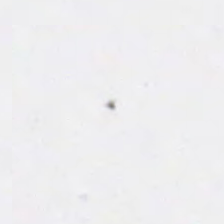The content is background.
